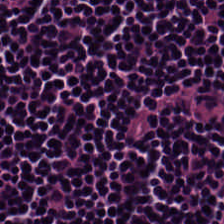Histology → lymphocytes.
